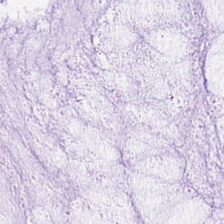{"tissue_type": "mucus"}
